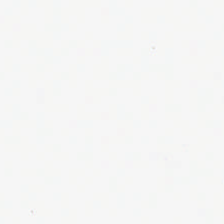Hematoxylin and eosin — This patch shows no tissue.
